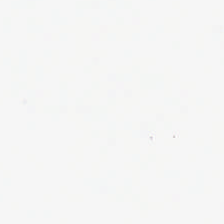0.5 µm/px · H&E. Empty field — no tissue.
